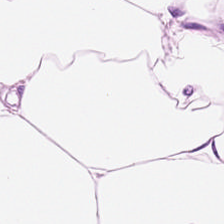Hematoxylin-and-eosin stained section. 224×224 pixel tile. FFPE.
Q: What is shown here?
A: It is adipocytes.
